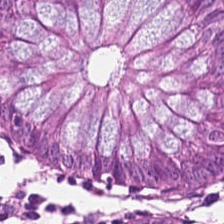0.5 µm/px · 224×224 pixel tile · H&E-stained tissue section — This patch shows benign colonic mucosa.
